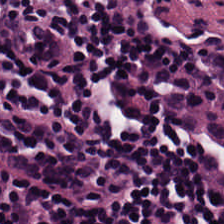Hematoxylin-and-eosin stained section. Histology → lymphocytes.
